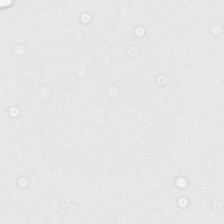224×224 pixel tile; H&E. Classification = empty background.
